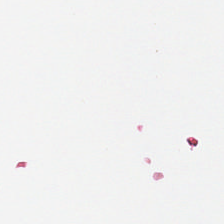Hematoxylin and eosin — Background — no tissue in this field.
